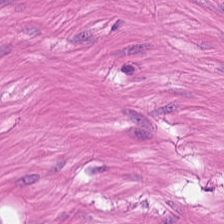Stain: hematoxylin-and-eosin stained section.
Classification: muscularis.
